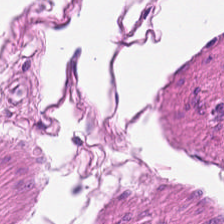Formalin-fixed paraffin-embedded section; hematoxylin-and-eosin stained section.
Finding → smooth-muscle tissue.
